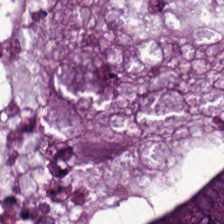Finding → tumor epithelium.
